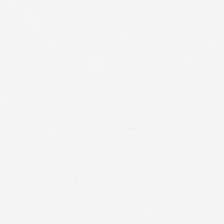Classification — background (no tissue).
